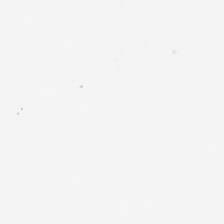0.5 µm per pixel; FFPE tissue section; hematoxylin and eosin.
{"content": "background (no tissue)"}
